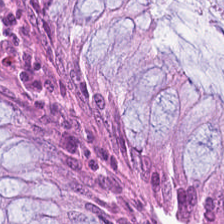Hematoxylin and eosin; brightfield microscopy.
This field is normal colon mucosa.
